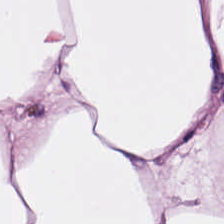Q: What tissue type is shown here?
A: Adipose.
